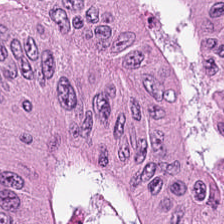Showing colorectal adenocarcinoma.
